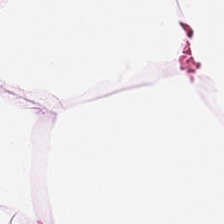Hematoxylin and eosin. Predominant tissue = adipose.
